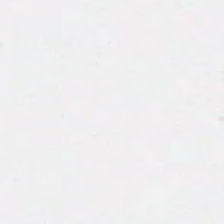224×224 px tile. H&E-stained tissue section. {"content": "empty background"}
